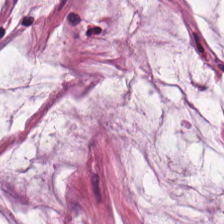Tissue: mucin.
